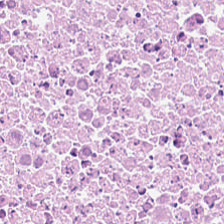Q: Identify the tissue.
A: It is cellular debris.
